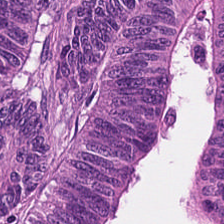H&E. 0.5 microns per pixel. Q: What tissue is shown?
A: This is colorectal adenocarcinoma.
